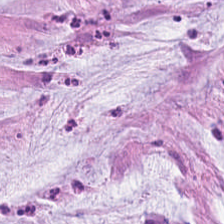Hematoxylin-and-eosin stained section. Q: What is shown in this field?
A: The field shows mucus.
